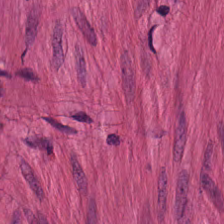Formalin-fixed paraffin-embedded section; hematoxylin-and-eosin stained section; WSI patch. Predominantly smooth-muscle tissue.
